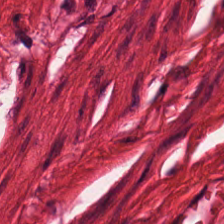Stain: H&E.
Acquisition: brightfield.
Tissue class: smooth muscle.
